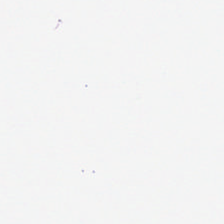H&E stain. Content — background.
